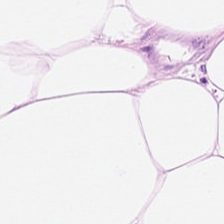H&E-stained tissue section.
Tissue class = adipose.
